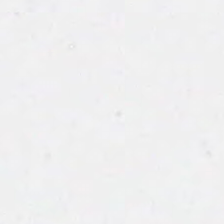FFPE; hematoxylin-and-eosin stained section — Empty field — background (no tissue).
